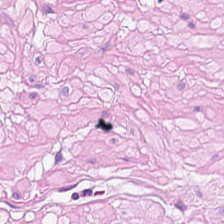224×224 pixel tile. FFPE tissue section. H&E stain. {"tissue_type": "smooth muscle"}
